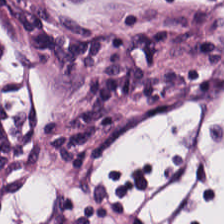Hematoxylin-and-eosin stained section. Showing lymphocyte aggregate.
